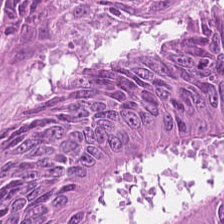H&E stain.
Showing malignant epithelium.
